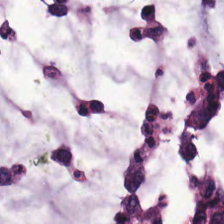Hematoxylin-and-eosin stained section. Tissue type = mucin.
